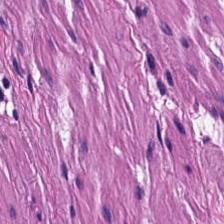Hematoxylin and eosin — Smooth muscle.
